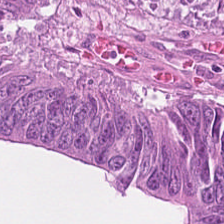0.5 µm per pixel; whole-slide-image patch; H&E — {"tissue_type": "adenocarcinoma"}
